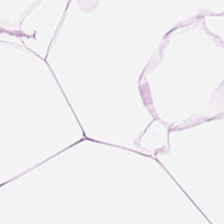H&E-stained tissue section — Showing adipose tissue.
